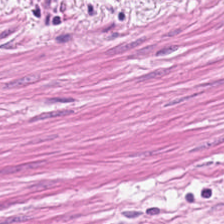Formalin-fixed paraffin-embedded section · H&E stain.
The classification is smooth-muscle tissue.
